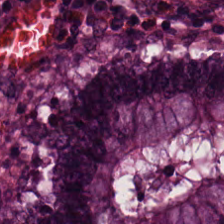Q: What does this patch show?
A: Normal colonic mucosa.
